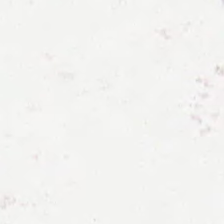Finding — no tissue.
